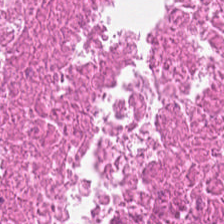Q: What does this patch show?
A: The field shows necrotic debris.
